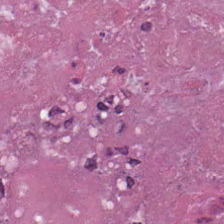Stain: H&E-stained tissue section.
Acquisition: brightfield.
Predominant tissue: debris.
